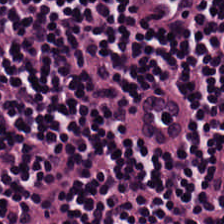Classification = lymphocyte aggregate.
